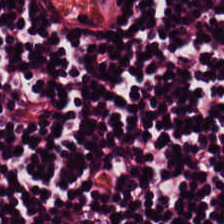Predominant tissue — lymphocyte aggregate.
